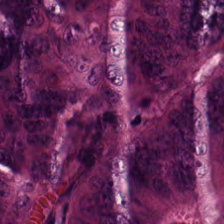20× equivalent magnification · hematoxylin-and-eosin stained section — This field is colorectal adenocarcinoma epithelium.
